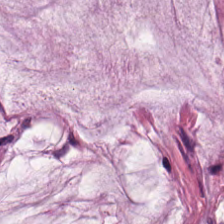FFPE · 224×224 px patch · hematoxylin-and-eosin stained section.
{"tissue_type": "mucus"}
